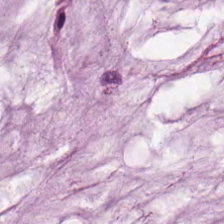Q: What does this patch show?
A: Mucin.
